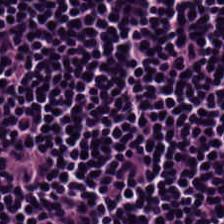H&E. FFPE tissue section — Tissue class: lymphoid infiltrate.
